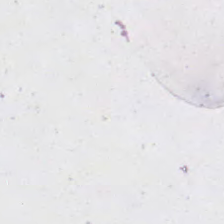Background (no tissue).
